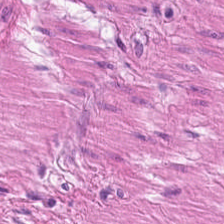Hematoxylin and eosin — Predominant tissue — smooth muscle.
